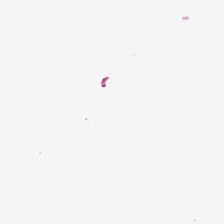{"content": "no tissue"}
